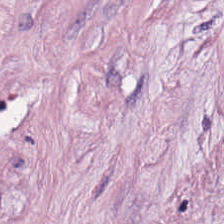Classification: tumor stroma.
